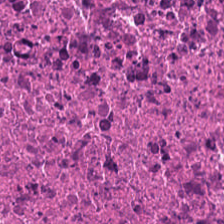Impression — debris.
